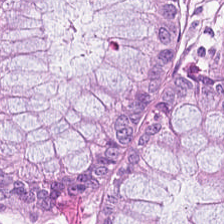H&E-stained tissue section.
The tissue class is normal colon mucosa.
